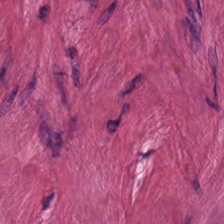224×224 px tile; hematoxylin and eosin — Tissue — smooth muscle.
